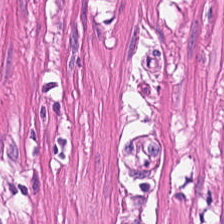H&E-stained tissue section.
Predominant tissue — smooth-muscle tissue.
